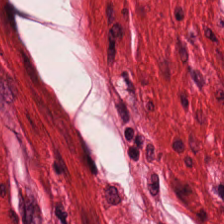H&E-stained tissue section; 224×224 px tile — This patch shows smooth-muscle tissue.
